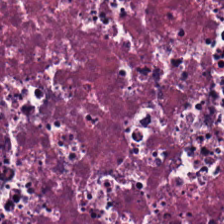Q: What tissue is shown?
A: Necrotic debris.
